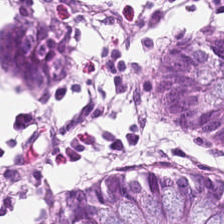20× equivalent magnification. 224×224 px tile. Hematoxylin-and-eosin stained section — Finding — normal colon mucosa.
